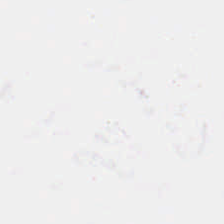Field content = no tissue.
